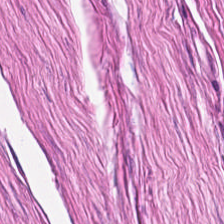0.5 µm/px; H&E stain — The predominant tissue is muscularis.
